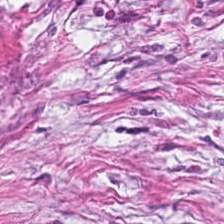H&E-stained tissue section.
Predominant tissue = desmoplastic stroma.
